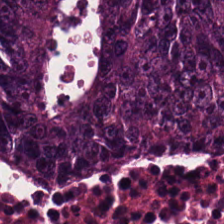224×224 px patch; H&E stain; 0.5 microns per pixel — The tissue is colorectal adenocarcinoma epithelium.
